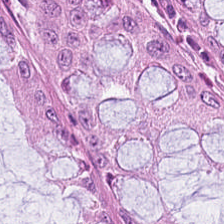224×224 px patch. 0.5 µm per pixel. H&E-stained tissue section. The classification is non-neoplastic colon mucosa.
